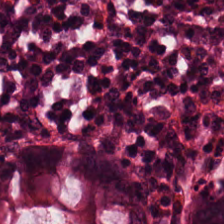Hematoxylin and eosin; FFPE. Q: What type of tissue is this?
A: This is normal colonic mucosa.
